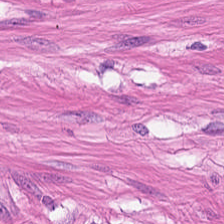H&E-stained tissue section; WSI patch; FFPE tissue section — This field is smooth-muscle tissue.
